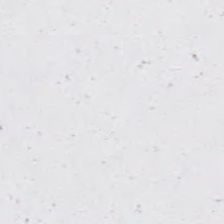H&E-stained tissue section · 224×224 pixel tile.
Q: What does this patch show?
A: It is background (no tissue).
